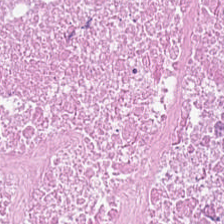Stain: H&E.
Tile size: 224×224 pixel tile.
Preparation: formalin-fixed paraffin-embedded section.
Predominant tissue: cellular debris.
